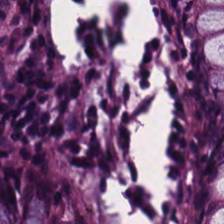Hematoxylin and eosin — Showing non-neoplastic colon mucosa.
